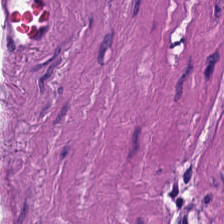H&E-stained tissue section; FFPE.
The tissue is smooth muscle.
